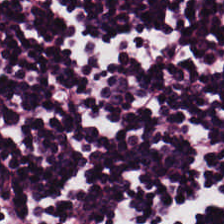H&E — lymphocyte aggregate.
